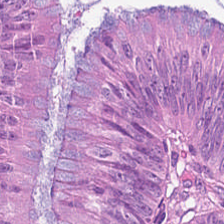Q: What is shown here?
A: The field shows adenocarcinoma.
